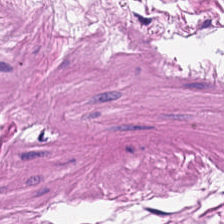Tissue type: smooth-muscle tissue.
